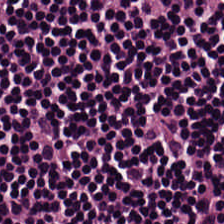H&E. Lymphocyte aggregate.
